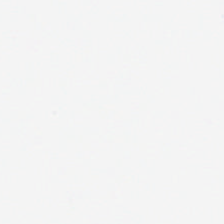H&E; WSI patch. Q: What does this patch show?
A: Empty background.
